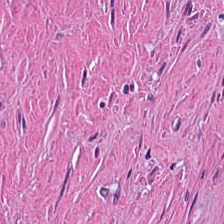0.5 microns per pixel · hematoxylin and eosin · WSI patch. Q: What tissue is shown?
A: The field shows debris.
